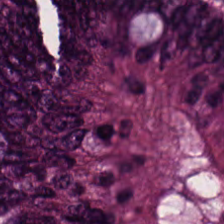Tissue class = tumor epithelium.
